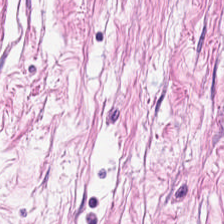0.5 microns per pixel · hematoxylin and eosin. This patch shows tumor stroma.
